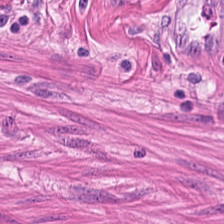H&E — Predominant tissue — smooth-muscle tissue.
